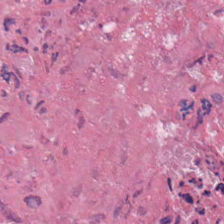Hematoxylin-and-eosin stained section — Histology — cellular debris.
